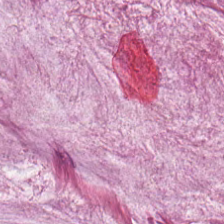H&E. Predominant tissue — extracellular mucin.
